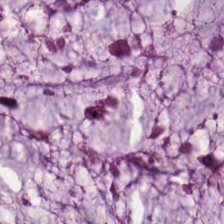H&E stain · formalin-fixed paraffin-embedded section. Finding — mucin.
